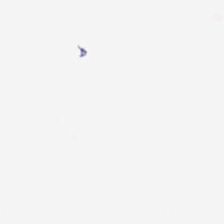Hematoxylin and eosin. Content — background.
